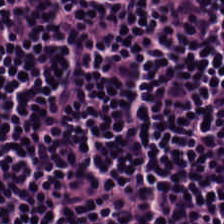Lymphoid infiltrate.
